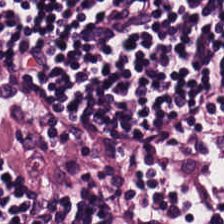Q: What is the predominant tissue type?
A: Lymphocyte aggregate.
